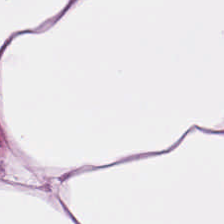Brightfield. Hematoxylin and eosin — Showing fat tissue.
